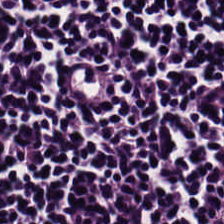H&E-stained tissue section. Formalin-fixed paraffin-embedded section — Predominant tissue — lymphocyte aggregate.
